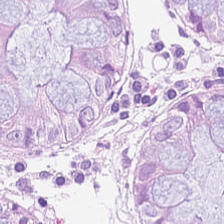Predominant tissue = normal colonic mucosa.
